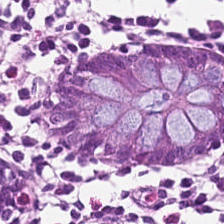Hematoxylin-and-eosin stained section · 224×224 pixel tile. Tissue class — normal colon mucosa.
